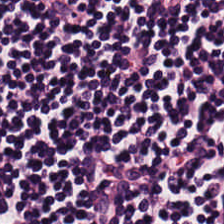{"tissue_type": "lymphoid infiltrate"}
